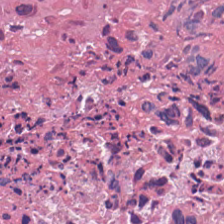Hematoxylin and eosin.
The predominant tissue is debris.
